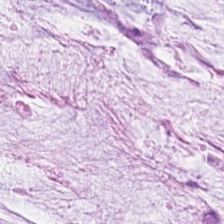Stain: hematoxylin and eosin.
Predominant tissue: extracellular mucin.
